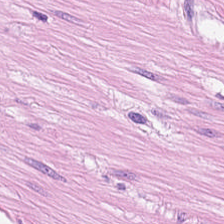H&E stain.
Classification — smooth muscle.
